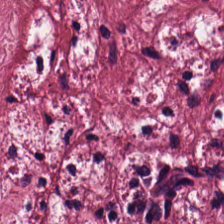Hematoxylin and eosin · FFPE tissue section.
Tissue = tumor-associated stroma.
